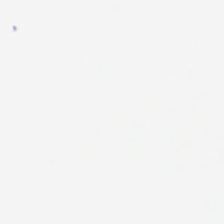H&E-stained tissue section.
Background — no tissue in this field.
